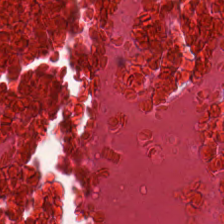Stain: H&E stain.
Predominant tissue: cellular debris.
